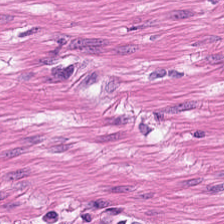Tissue type — smooth muscle.
